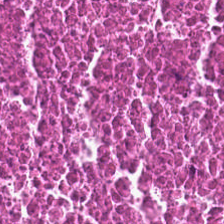H&E.
Predominant tissue = debris.
